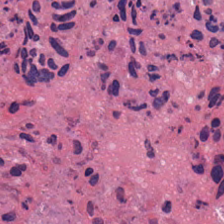This patch shows debris.
